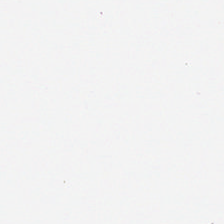0.5 microns per pixel. Hematoxylin-and-eosin stained section — No tissue present; background only.
